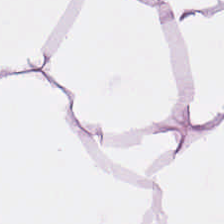WSI patch. H&E-stained tissue section — This field is fat tissue.
